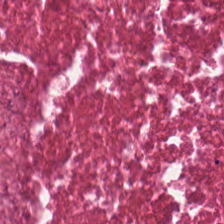The predominant tissue is cellular debris.
